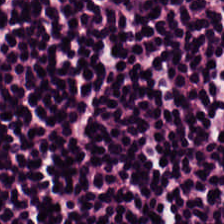The predominant tissue is lymphoid infiltrate.
